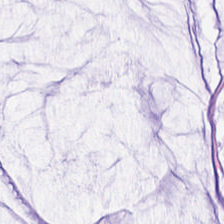{"tissue_type": "mucus"}
